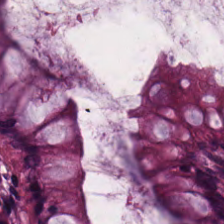H&E. Brightfield microscopy.
Q: Classify this patch.
A: Benign colonic mucosa.
